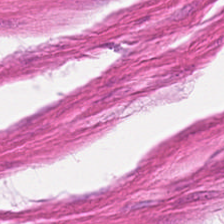Q: What does this patch show?
A: The field shows smooth-muscle tissue.
